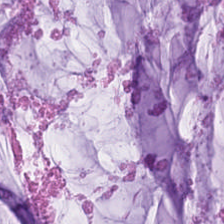Hematoxylin and eosin. 0.5 µm/px — Tissue class — extracellular mucin.
